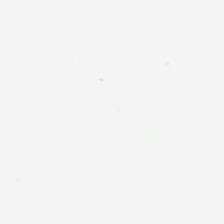Hematoxylin and eosin · whole-slide-image patch. Classification = empty background.
